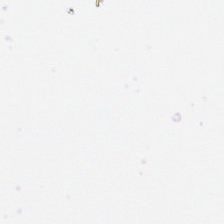H&E stain. Q: What is shown here?
A: The field shows background.
